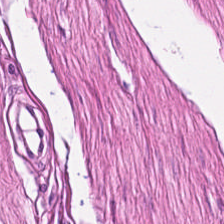The tissue here is muscularis.
